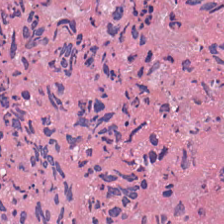Q: What is shown here?
A: It is necrotic debris.
